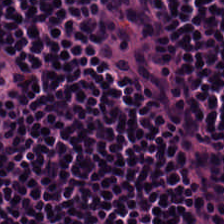Lymphocytes.
